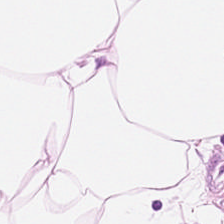H&E-stained section; the field shows adipose tissue.
